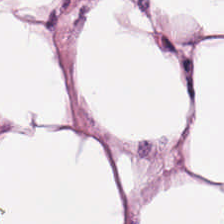Hematoxylin-and-eosin stained section. This field is adipose tissue.
